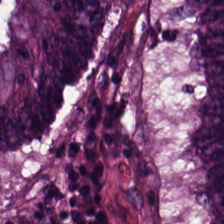Q: What is shown here?
A: This is colorectal adenocarcinoma.
